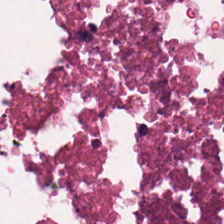H&E-stained tissue section. The predominant tissue is debris.
